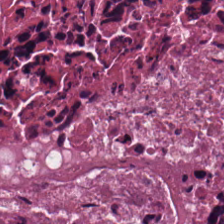This patch shows cellular debris.
